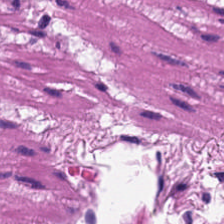H&E · 224×224 px tile.
This field is muscularis.
